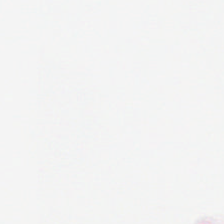Content — background.
